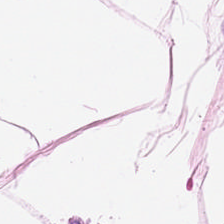H&E-stained section; the field shows adipose tissue.
